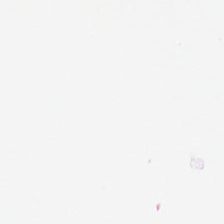Hematoxylin-and-eosin stained section.
Field content: empty background.
